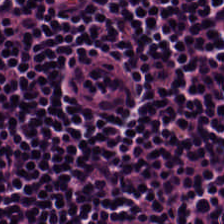Hematoxylin-and-eosin stained section — Tissue class: lymphocytes.
